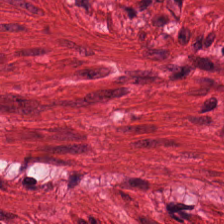H&E · 0.5 µm per pixel. This patch shows muscularis.
